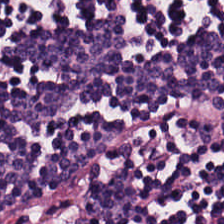H&E. Q: What type of tissue is this?
A: Lymphocytic infiltrate.
